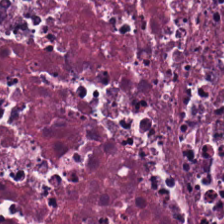FFPE tissue section. H&E. 0.5 µm per pixel.
Q: Identify the tissue.
A: It is debris.
